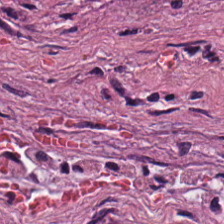H&E. Tissue type = tumor stroma.
